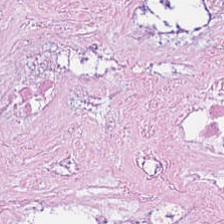Stain: H&E-stained tissue section.
Tile size: 224×224 px patch.
Tissue type: cellular debris.
